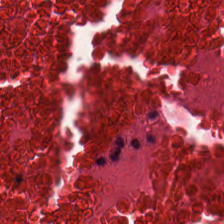Hematoxylin-and-eosin stained section. Showing cellular debris.
